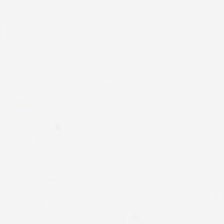Whole-slide-image patch · hematoxylin-and-eosin stained section — No tissue present; background only.
